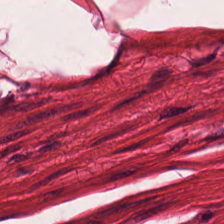Impression → smooth-muscle tissue.
